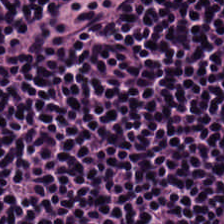The tissue here is lymphocyte aggregate.
